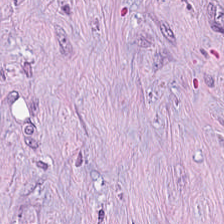H&E; whole-slide-image patch — Showing cancer-associated stroma.
